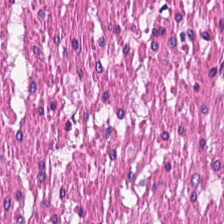Hematoxylin-and-eosin stained section — This patch shows smooth muscle.
